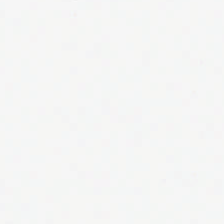Stain: H&E stain.
Acquisition: whole-slide-image patch.
Field content: empty background.
